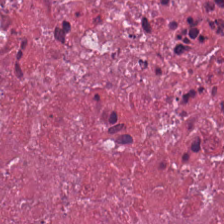Hematoxylin and eosin — Showing cellular debris.
